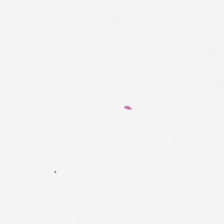H&E — Field content: empty background.
